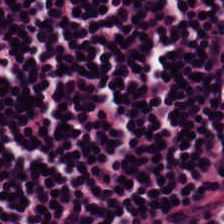H&E — lymphocytes.
